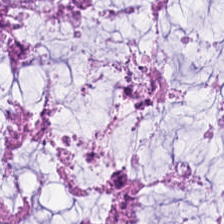Stain: H&E-stained tissue section.
Preparation: FFPE tissue section.
Tissue: mucin.
